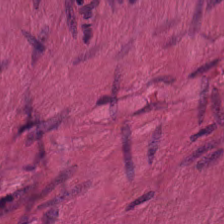Tissue type = smooth muscle.
